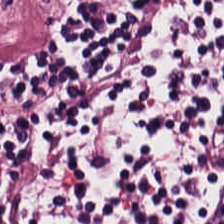H&E patch showing lymphocytic infiltrate.
